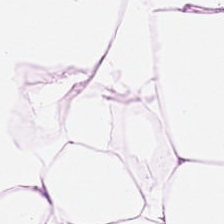Hematoxylin and eosin.
Tissue: adipocytes.
